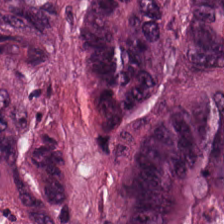Hematoxylin-and-eosin stained section.
The predominant tissue is colorectal adenocarcinoma.
